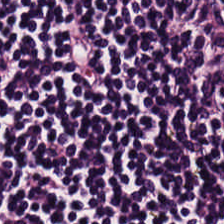Stain: hematoxylin and eosin.
Classification: lymphoid infiltrate.
